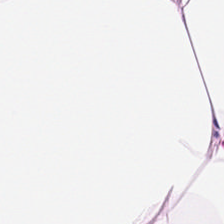224×224 px patch. Brightfield microscopy. H&E.
This field is adipose.
